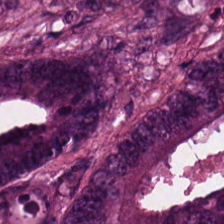H&E-stained tissue section. 224×224 pixel tile. 0.5 µm/px. The tissue here is tumor epithelium.
